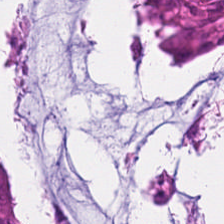Histology — colorectal adenocarcinoma.
